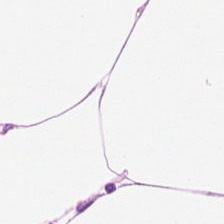Hematoxylin-and-eosin stained section · brightfield microscopy — Tissue type — adipose.
